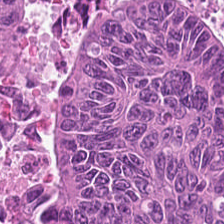H&E stain. Malignant epithelium.
